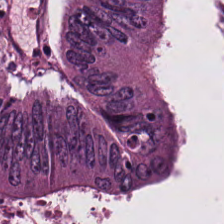H&E stain. Histology — adenocarcinoma.
